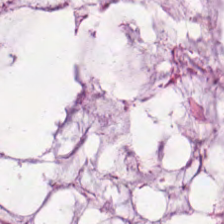H&E-stained tissue section. Tissue class: mucin.
